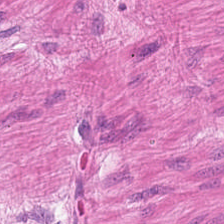H&E stain. Q: What type of tissue is this?
A: It is smooth-muscle tissue.
